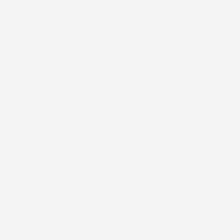Impression → background.
